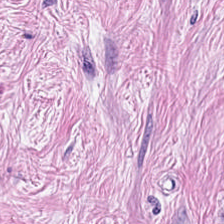Formalin-fixed paraffin-embedded section · H&E stain. Tissue class = tumor-associated stroma.
